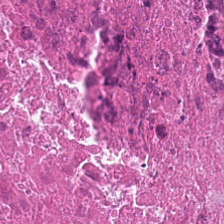Brightfield. Hematoxylin and eosin. Finding → cellular debris.
